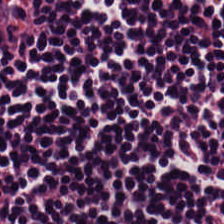H&E.
Q: What is the predominant tissue type?
A: Lymphocyte aggregate.
